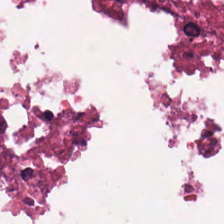Hematoxylin and eosin.
Q: Identify the tissue.
A: This is debris.
